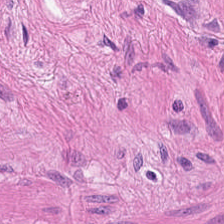Stain: H&E-stained tissue section.
Preparation: formalin-fixed paraffin-embedded section.
Tile size: 224×224 px patch.
Tissue class: smooth muscle.
